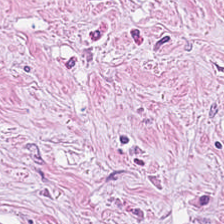H&E — tumor stroma.
